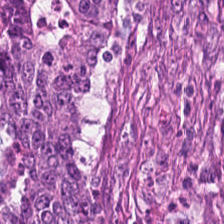H&E-stained tissue section — This patch shows adenocarcinoma.
